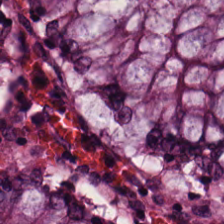H&E. Q: What is shown in this field?
A: Normal colonic mucosa.
